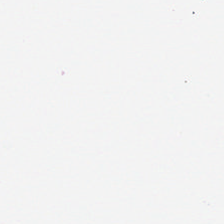H&E stain.
This field is background (no tissue).
